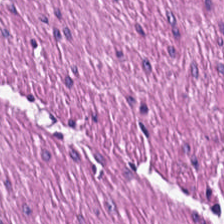224×224 pixel tile · H&E · FFPE. Q: Identify the tissue.
A: The field shows smooth-muscle tissue.
